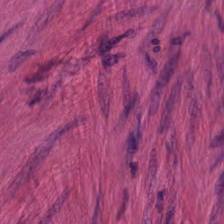Whole-slide-image patch; H&E — Classification — muscularis.
